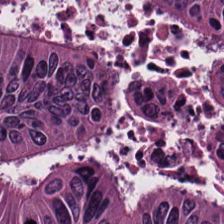Hematoxylin-and-eosin stained section — The predominant tissue is colorectal adenocarcinoma epithelium.
